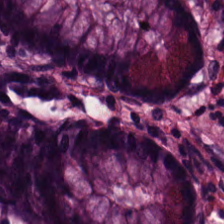224×224 pixel tile; formalin-fixed paraffin-embedded section; H&E stain — Q: What tissue type is shown here?
A: This is normal colonic mucosa.
